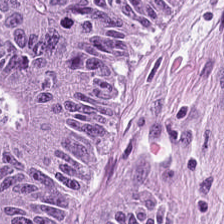Formalin-fixed paraffin-embedded section · brightfield microscopy · H&E stain.
Tissue class = colorectal adenocarcinoma.
